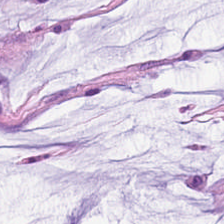H&E stain. Showing extracellular mucin.
